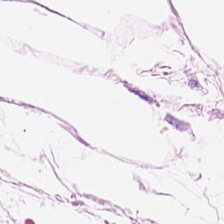224×224 px patch · H&E · FFPE tissue section — Classification = adipocytes.
